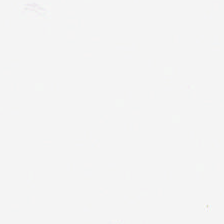Stain: H&E-stained tissue section.
Field content: background.
